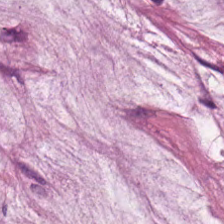H&E-stained tissue section · FFPE tissue section · 0.5 µm per pixel.
The tissue class is mucin.
